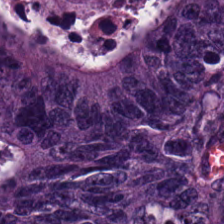H&E.
Adenocarcinoma.
